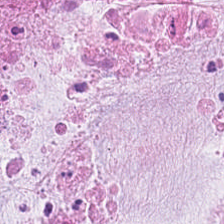Stain: hematoxylin and eosin.
Tissue: mucin.
